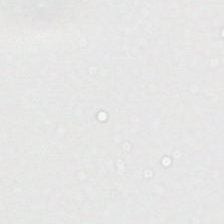H&E.
Q: Classify this patch.
A: This is empty background.
